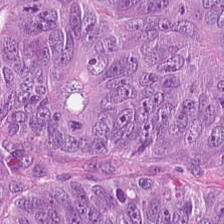Brightfield microscopy. H&E stain — The tissue class is colorectal adenocarcinoma.
